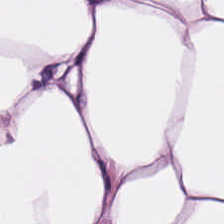Hematoxylin-and-eosin stained section · 0.5 µm/px — Q: What tissue is shown?
A: The field shows fat tissue.
